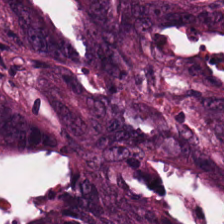Q: What does this patch show?
A: Colorectal adenocarcinoma.
